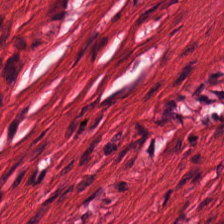Hematoxylin-and-eosin stained section.
Tissue type: smooth muscle.
